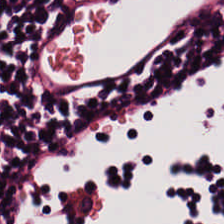Stain: hematoxylin-and-eosin stained section.
Resolution: 20× equivalent magnification.
Classification: lymphocyte aggregate.
